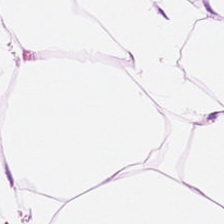H&E.
This field is adipose tissue.
